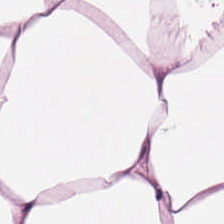H&E stain.
Tissue type: adipose tissue.
